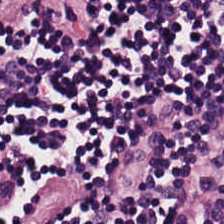Hematoxylin-and-eosin stained section.
The tissue here is lymphocytic infiltrate.
